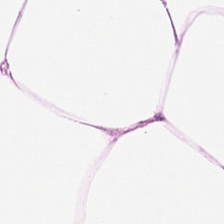Hematoxylin and eosin — This patch shows fat tissue.
